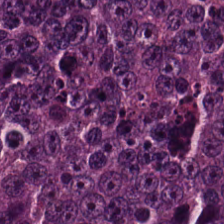H&E-stained tissue section; 224×224 px tile.
The predominant tissue is colorectal adenocarcinoma.
